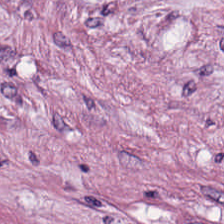Impression → cancer-associated stroma.
